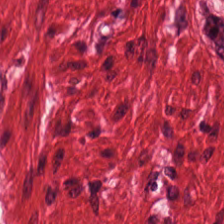Brightfield microscopy · 224×224 pixel tile · H&E. Q: What is shown in this field?
A: This is smooth-muscle tissue.
